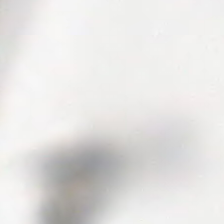Field content — background.
